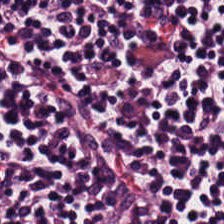Classification = lymphocyte aggregate.
